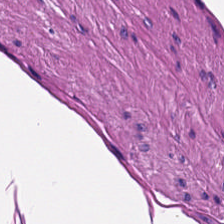{"tissue_type": "smooth muscle"}
